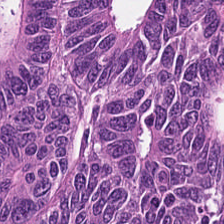Q: What type of tissue is this?
A: It is colorectal adenocarcinoma.
